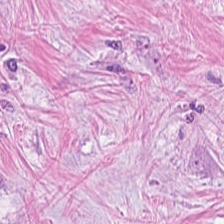H&E — The tissue is desmoplastic stroma.
